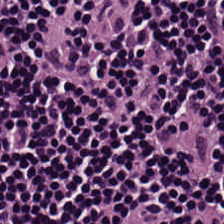H&E stain — Predominantly lymphocyte aggregate.
